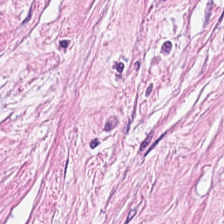H&E-stained tissue section · 224×224 pixel tile.
The predominant tissue is tumor-associated stroma.
